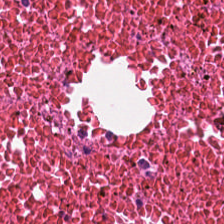WSI patch · FFPE tissue section · hematoxylin and eosin.
Q: What is shown here?
A: Cellular debris.
